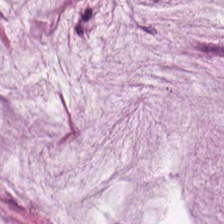224×224 px tile. H&E-stained tissue section.
The tissue is mucus.
